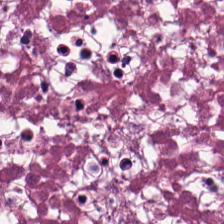H&E · 224×224 px patch — Tissue: cellular debris.
